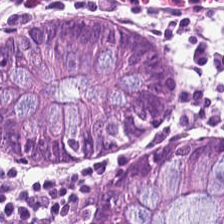Hematoxylin and eosin — Classification = normal colonic mucosa.
